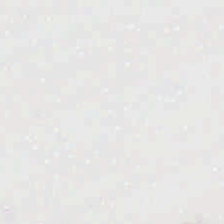H&E.
Background (no tissue).
